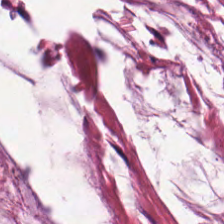H&E stain. The tissue here is extracellular mucin.
